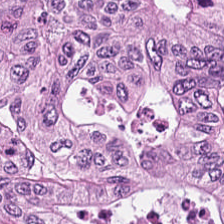Stain: H&E.
Classification: adenocarcinoma.
